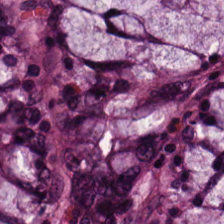Hematoxylin and eosin.
This field is normal colonic mucosa.
